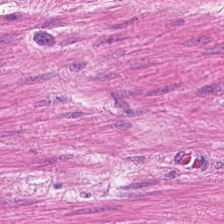H&E. Muscularis.
